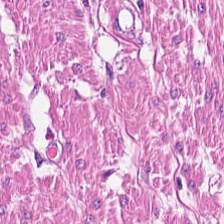H&E stain — Q: Identify the tissue.
A: The field shows smooth muscle.
